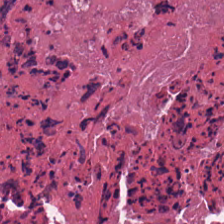224×224 px patch. H&E-stained tissue section. Necrotic debris.
